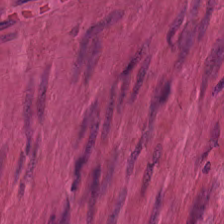Formalin-fixed paraffin-embedded section. Hematoxylin and eosin.
Q: What does this patch show?
A: The field shows smooth-muscle tissue.
